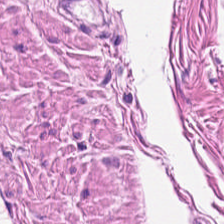{"tissue_type": "smooth muscle"}
